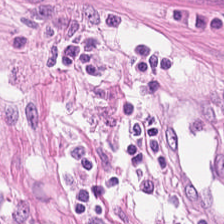Stain: H&E stain.
Resolution: 0.5 microns per pixel.
Tissue class: muscularis.
